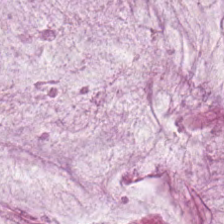0.5 µm/px; formalin-fixed paraffin-embedded section; H&E stain — Mucin.
